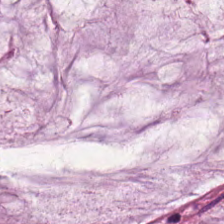Stain: H&E-stained tissue section.
Tissue: mucin.
